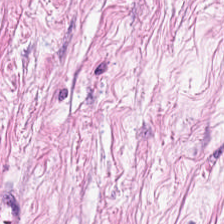FFPE; hematoxylin-and-eosin stained section. Q: What does this patch show?
A: It is desmoplastic stroma.
